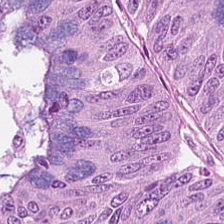0.5 µm/px · H&E stain · FFPE tissue section. Showing colorectal adenocarcinoma epithelium.
